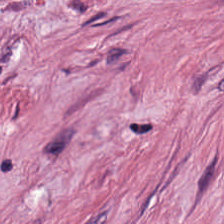WSI patch. Hematoxylin-and-eosin stained section.
The predominant tissue is tumor-associated stroma.
